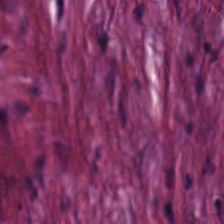H&E. The tissue type is tumor-associated stroma.
